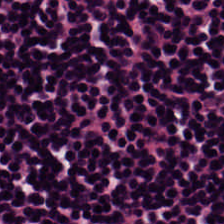Stain: H&E.
Predominant tissue: lymphocytic infiltrate.
